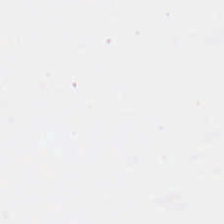Stain: H&E.
Classification: background.
